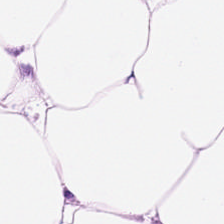{"tissue_type": "adipose tissue"}
